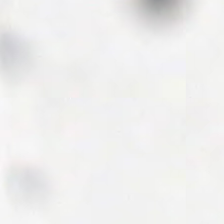Hematoxylin and eosin — This patch shows empty background.
